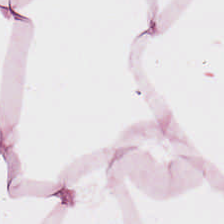H&E.
Histology → fat tissue.
